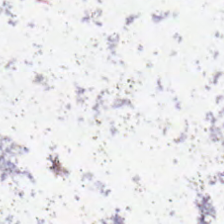H&E. Field content = no tissue.
